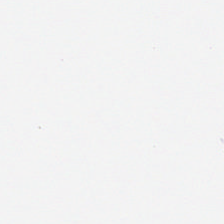Q: Classify this patch.
A: Background (no tissue).
